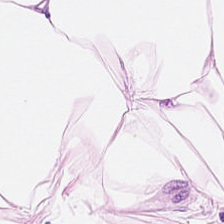The tissue type is adipose.
